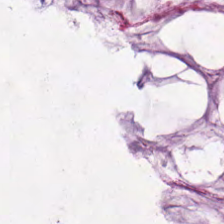Hematoxylin and eosin · 0.5 µm per pixel.
Q: Identify the tissue.
A: It is mucin.
